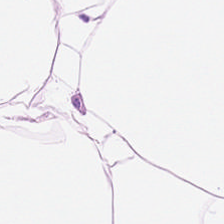H&E-stained tissue section.
This patch shows adipose.
